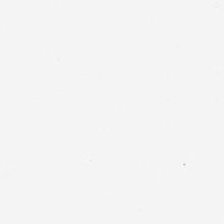H&E stain. Histology → empty background.
